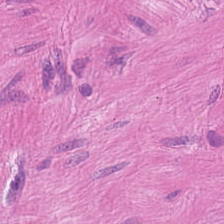H&E.
Q: What does this patch show?
A: This is muscularis.
